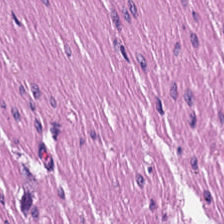H&E — Q: What is shown here?
A: The field shows smooth-muscle tissue.
